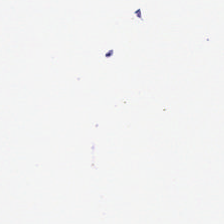Hematoxylin-and-eosin stained section.
Empty field — background (no tissue).
